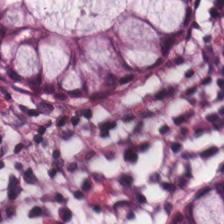Stain: H&E.
Resolution: 0.5 µm per pixel.
Preparation: FFPE tissue section.
Tissue type: non-neoplastic colon mucosa.
